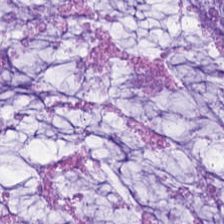Q: What does this patch show?
A: The field shows extracellular mucin.
